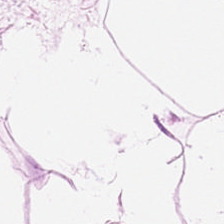Hematoxylin-and-eosin stained section.
This patch shows adipocytes.
